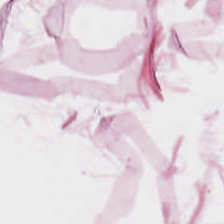H&E-stained tissue section — Tissue class = adipose tissue.
